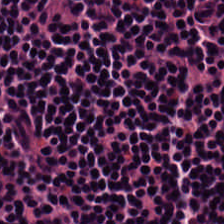H&E-stained tissue section — This patch shows lymphocyte aggregate.
